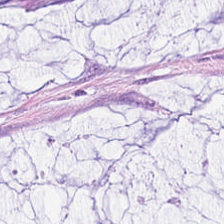H&E stain.
The predominant tissue is extracellular mucin.
